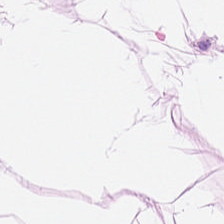Q: What tissue type is shown here?
A: This is fat tissue.
